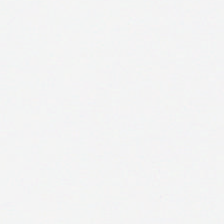224×224 pixel tile; hematoxylin-and-eosin stained section.
Q: What is shown here?
A: It is empty background.
